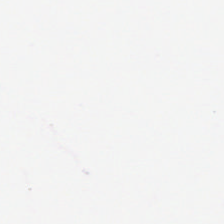Hematoxylin-and-eosin stained section. Finding — empty background.
